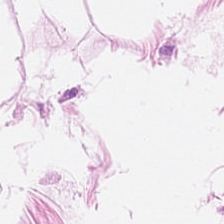H&E stain — Predominantly fat tissue.
